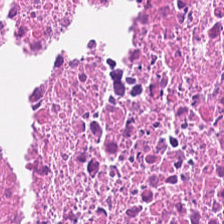Hematoxylin and eosin. This patch shows necrotic debris.
